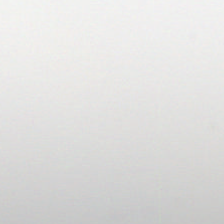H&E-stained tissue section.
This field is background (no tissue).
